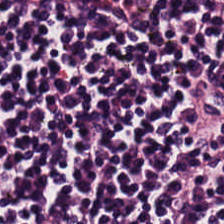Hematoxylin and eosin. This field is lymphocytes.
